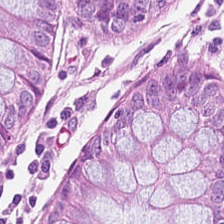Hematoxylin-and-eosin stained section; whole-slide-image patch. Classification: normal colonic mucosa.
